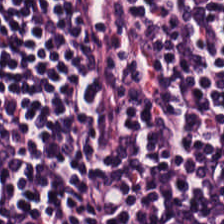Tissue type — lymphocytic infiltrate.
